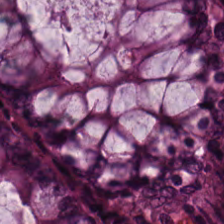Brightfield microscopy; hematoxylin and eosin.
Q: What type of tissue is this?
A: This is normal colon mucosa.
